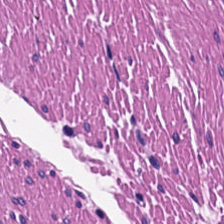Whole-slide-image patch. H&E-stained tissue section.
The tissue is muscularis.
